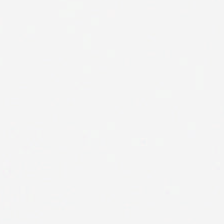Hematoxylin-and-eosin stained section. Content: empty background.
